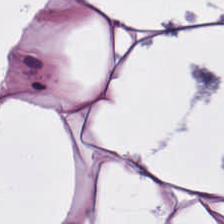Tissue type — adipocytes.
